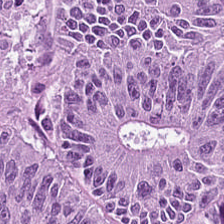H&E-stained tissue section. The tissue here is adenocarcinoma.
